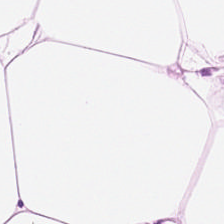Stain: H&E stain.
Classification: fat tissue.
